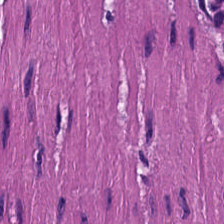Stain: H&E stain.
Tile size: 224×224 px patch.
Predominant tissue: muscularis.
